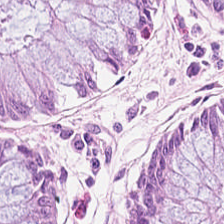H&E stain.
Impression → normal colon mucosa.
